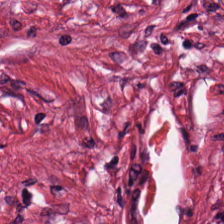H&E-stained tissue section — Tissue = desmoplastic stroma.
